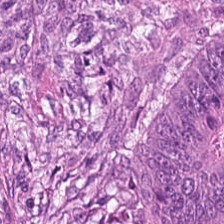Q: Identify the tissue.
A: It is malignant epithelium.
